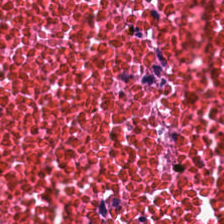Impression → necrotic debris.
